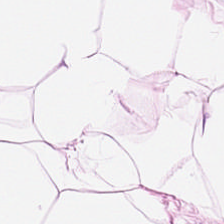H&E-stained tissue section. Adipocytes.
